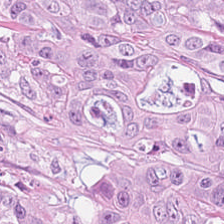H&E — adenocarcinoma.
